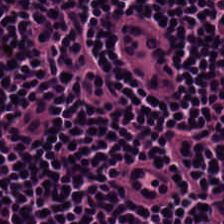H&E-stained tissue section; 224×224 px tile; 0.5 µm/px — This patch shows lymphocytes.
